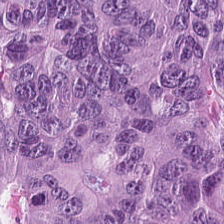H&E stain · FFPE · 224×224 px patch.
{"tissue_type": "adenocarcinoma"}
